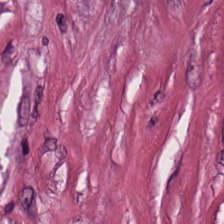H&E stain; 0.5 µm per pixel — Q: What tissue is shown?
A: It is tumor stroma.
